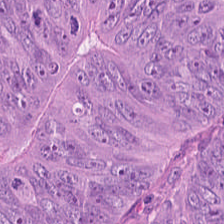Brightfield microscopy; H&E — Showing malignant epithelium.
